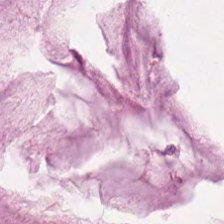H&E stain — Histology — mucus.
